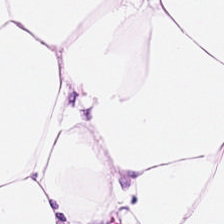H&E. 224×224 pixel tile. Brightfield.
Q: Identify the tissue.
A: Adipocytes.
